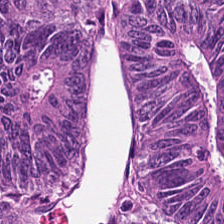{"tissue_type": "tumor epithelium"}
